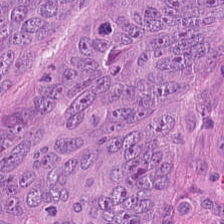The tissue here is malignant epithelium.
